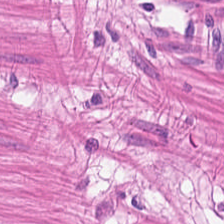Stain: H&E stain.
Acquisition: brightfield microscopy.
Resolution: 0.5 microns per pixel.
Tissue: smooth-muscle tissue.
